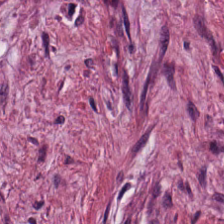Stain: hematoxylin and eosin.
Classification: cancer-associated stroma.
